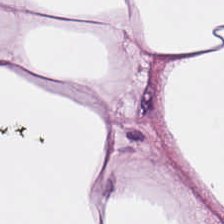H&E · 0.5 µm/px. Q: What does this patch show?
A: Adipocytes.
